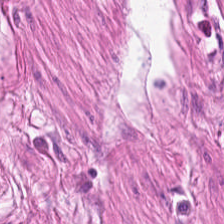H&E. This patch shows smooth muscle.
